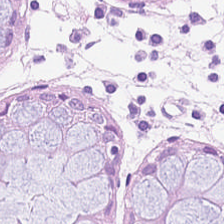The predominant tissue is normal colonic mucosa.
